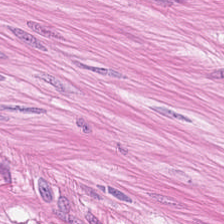Hematoxylin and eosin — This patch shows muscularis.
